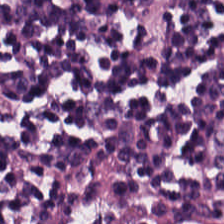H&E. 224×224 pixel tile. 0.5 µm per pixel — This patch shows lymphocytic infiltrate.
